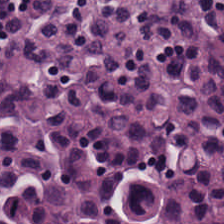Lymphocytes.
